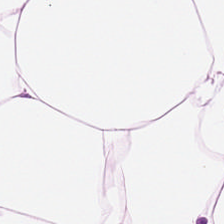H&E. 0.5 µm/px.
Predominantly fat tissue.
